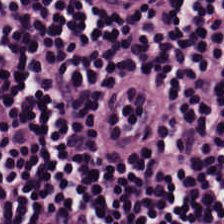Hematoxylin and eosin · 224×224 pixel tile · brightfield. Lymphocytic infiltrate.
